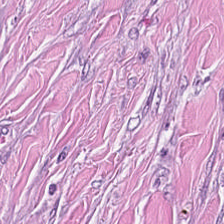Brightfield microscopy. Hematoxylin and eosin — Tumor-associated stroma.
